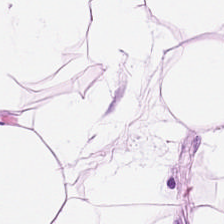Formalin-fixed paraffin-embedded section; H&E.
{"tissue_type": "fat tissue"}
